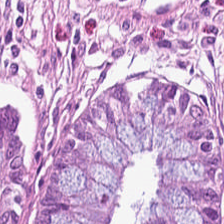H&E. Brightfield.
{"tissue_type": "normal colon mucosa"}
